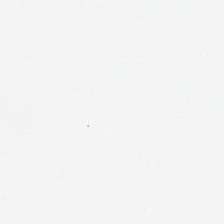H&E.
Background — no tissue in this field.
